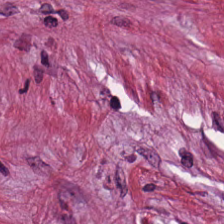Hematoxylin-and-eosin stained section · FFPE. Showing cancer-associated stroma.
